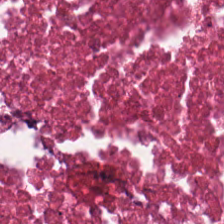H&E-stained tissue section.
Q: What is shown in this field?
A: This is debris.
